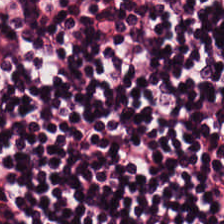H&E — Q: Classify this patch.
A: It is lymphocytic infiltrate.
